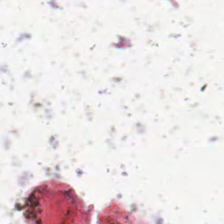Stain: hematoxylin-and-eosin stained section.
Field content: background.
